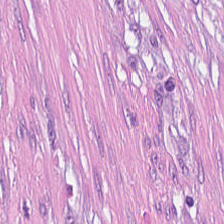Brightfield microscopy · formalin-fixed paraffin-embedded section · hematoxylin and eosin.
Showing desmoplastic stroma.
